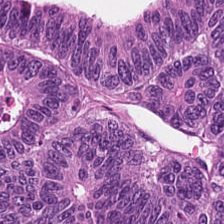Predominant tissue: colorectal adenocarcinoma.
